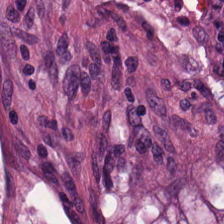Stain: H&E-stained tissue section.
Tissue class: cancer-associated stroma.
